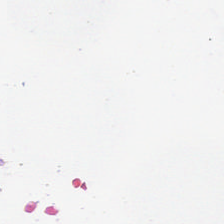Hematoxylin and eosin · 224×224 pixel tile — Background — no tissue in this field.
